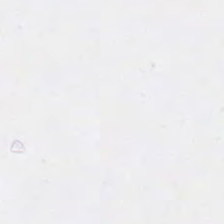H&E-stained tissue section.
Background — no tissue in this field.
